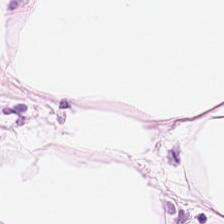H&E. Showing adipocytes.
